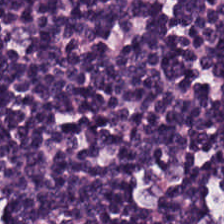Hematoxylin and eosin. Tissue class: lymphoid infiltrate.
